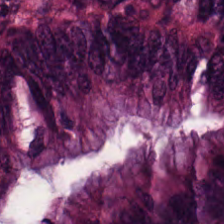H&E. The tissue here is malignant epithelium.
